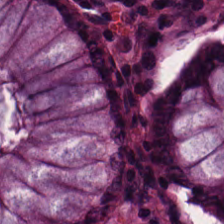Hematoxylin-and-eosin stained section · FFPE tissue section · 0.5 µm per pixel — Predominant tissue: normal colonic mucosa.
